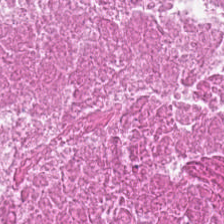Stain: H&E.
Tissue type: cellular debris.
